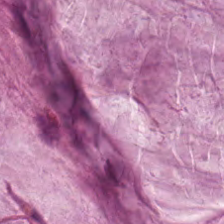H&E stain · brightfield.
Tissue type — extracellular mucin.
